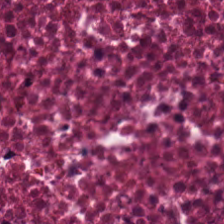Whole-slide-image patch · H&E.
Showing debris.
